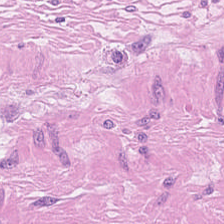H&E stain.
Smooth-muscle tissue.
